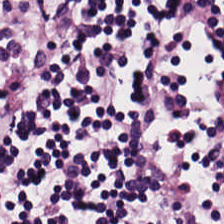H&E-stained tissue section · 224×224 px patch — Tissue — lymphoid infiltrate.
